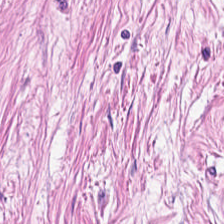H&E stain.
Cancer-associated stroma.
